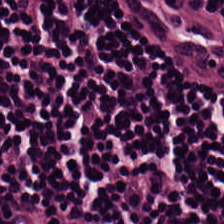Hematoxylin-and-eosin stained section · 0.5 µm/px · whole-slide-image patch.
Tissue — lymphocytic infiltrate.
